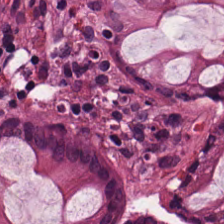H&E patch showing normal colon mucosa.
